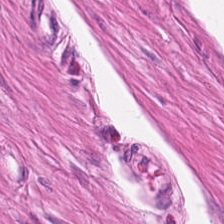Hematoxylin-and-eosin stained section. Smooth-muscle tissue.
